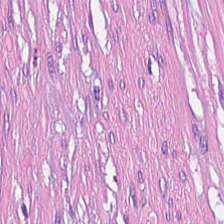H&E-stained tissue section · 224×224 px patch.
Classification: desmoplastic stroma.
